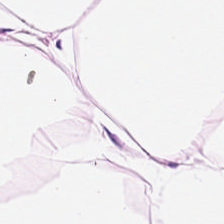Classification: adipose.
